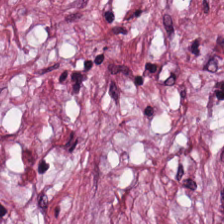Stain: H&E stain.
Resolution: 0.5 µm per pixel.
Predominant tissue: tumor-associated stroma.
